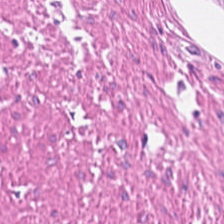Showing smooth-muscle tissue.
